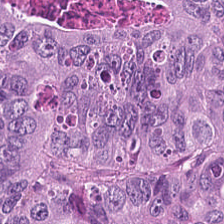Hematoxylin-and-eosin stained section — Tissue = adenocarcinoma.
